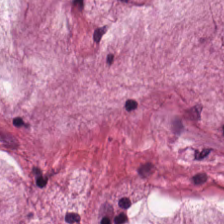H&E stain · 224×224 px patch.
Classification: extracellular mucin.
